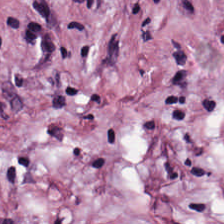H&E. {"tissue_type": "tumor-associated stroma"}
